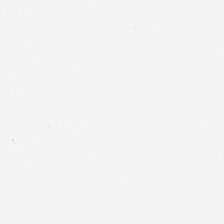H&E-stained tissue section; 224×224 px patch. This patch shows empty background.
